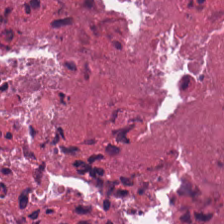H&E-stained tissue section showing necrotic debris.
